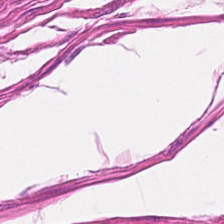H&E — smooth-muscle tissue.
